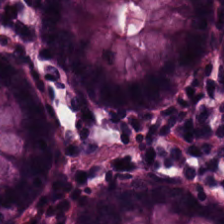H&E stain.
Predominantly non-neoplastic colon mucosa.
